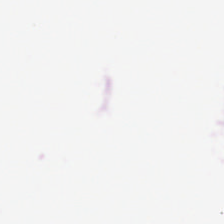H&E stain. Field content — empty background.
